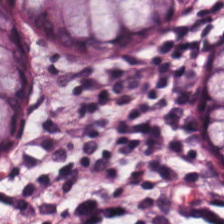Q: Classify this patch.
A: The field shows normal colonic mucosa.
